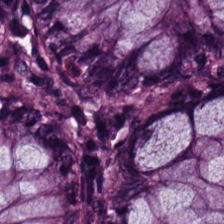H&E-stained tissue section · 224×224 px patch. Q: What is shown here?
A: This is non-neoplastic colon mucosa.
